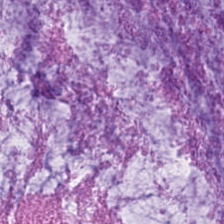H&E stain — Q: What is shown here?
A: It is mucus.
